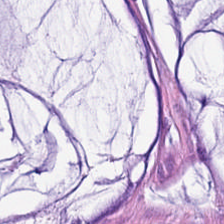Hematoxylin and eosin. 0.5 µm/px. Impression — mucin.
